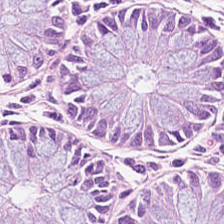Hematoxylin-and-eosin stained section. The tissue is normal colonic mucosa.
